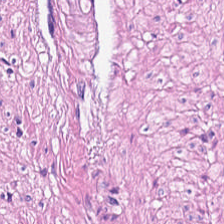H&E stain — Muscularis.
